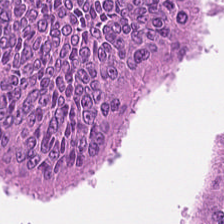Formalin-fixed paraffin-embedded section; 224×224 px tile; hematoxylin and eosin.
Classification — colorectal adenocarcinoma epithelium.
